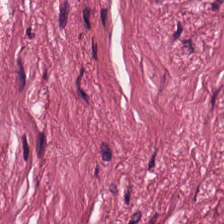224×224 pixel tile. 0.5 µm per pixel. H&E-stained tissue section. Predominant tissue: tumor stroma.
